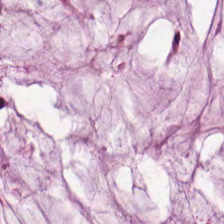Brightfield microscopy; hematoxylin and eosin. Q: Classify this patch.
A: It is mucin.
